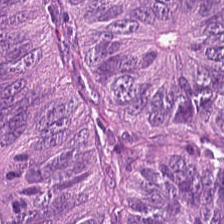Classification = colorectal adenocarcinoma epithelium.
